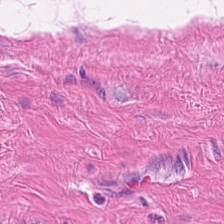H&E stain. Q: What tissue is shown?
A: It is smooth muscle.
